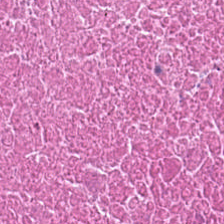Hematoxylin-and-eosin stained section.
Q: What type of tissue is this?
A: This is debris.
